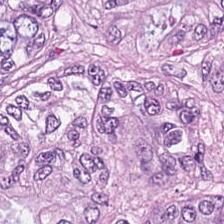H&E stain. 0.5 microns per pixel. FFPE tissue section. Q: What is shown here?
A: Colorectal adenocarcinoma.
